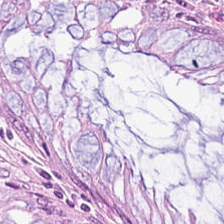Stain: hematoxylin-and-eosin stained section.
Tissue: normal colon mucosa.
